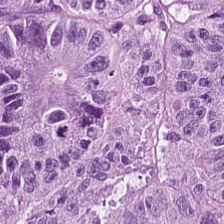H&E stain — Q: What is shown here?
A: It is adenocarcinoma.
